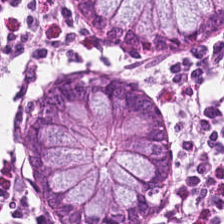Hematoxylin-and-eosin stained section. 0.5 µm per pixel — The tissue here is benign colonic mucosa.
